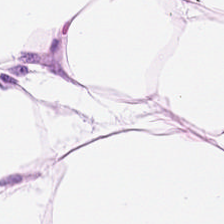H&E stain. FFPE. The tissue here is adipocytes.
